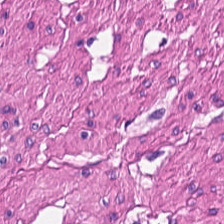This patch shows smooth-muscle tissue.
